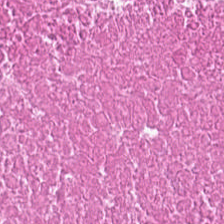Predominantly debris.
